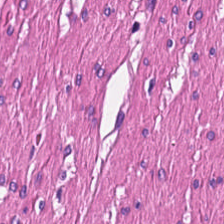H&E stain.
This field is smooth-muscle tissue.
